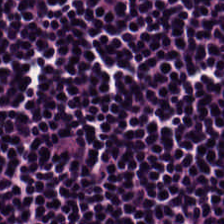H&E stain — The tissue class is lymphocytic infiltrate.
